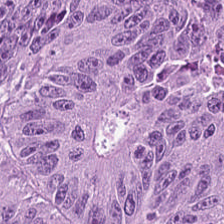Hematoxylin-and-eosin stained section. Brightfield — The predominant tissue is adenocarcinoma.
